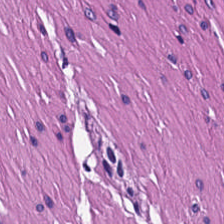H&E-stained tissue section — Showing smooth muscle.
